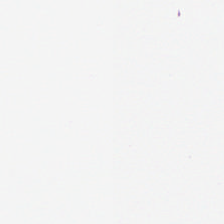H&E.
Empty field — empty background.
